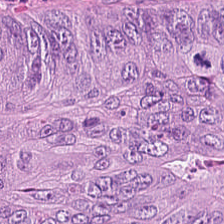H&E stain. The tissue class is tumor epithelium.
